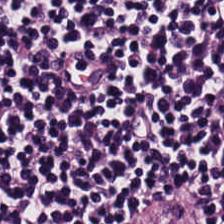Formalin-fixed paraffin-embedded section; hematoxylin-and-eosin stained section. Predominantly lymphoid infiltrate.
